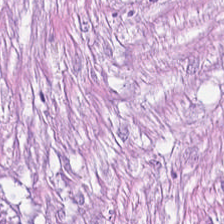Hematoxylin and eosin. Predominant tissue: desmoplastic stroma.
